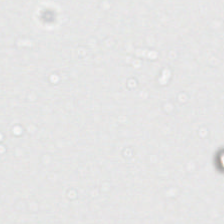0.5 µm per pixel. Formalin-fixed paraffin-embedded section. Hematoxylin-and-eosin stained section.
Q: What does this patch show?
A: It is background.
